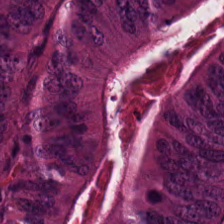Stain: hematoxylin-and-eosin stained section.
Tissue: colorectal adenocarcinoma epithelium.
